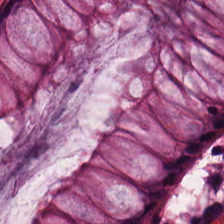Stain: H&E.
Tissue: normal colonic mucosa.
